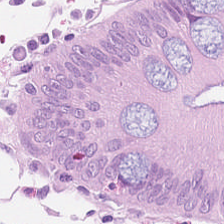H&E-stained tissue section.
Tissue class = normal colon mucosa.
